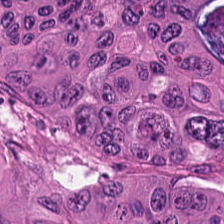Stain: H&E.
Tissue: colorectal adenocarcinoma.
